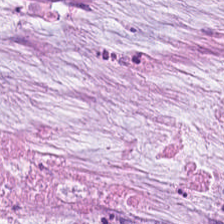Brightfield; hematoxylin and eosin. The predominant tissue is extracellular mucin.
